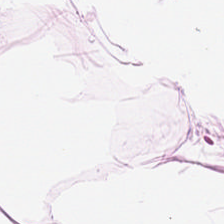Stain: hematoxylin and eosin.
Tissue: fat tissue.
